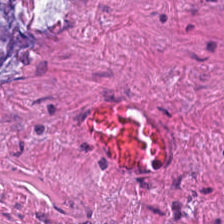Formalin-fixed paraffin-embedded section; 224×224 pixel tile; H&E stain.
The predominant tissue is extracellular mucin.
